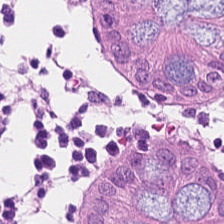Hematoxylin and eosin · 224×224 px tile. Tissue — non-neoplastic colon mucosa.
